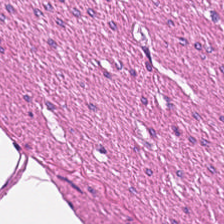20× equivalent magnification · 224×224 px tile · H&E-stained tissue section.
The tissue here is smooth muscle.
